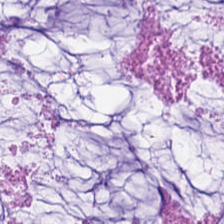Stain: hematoxylin and eosin.
Preparation: formalin-fixed paraffin-embedded section.
Resolution: 0.5 µm/px.
Tissue type: mucus.
